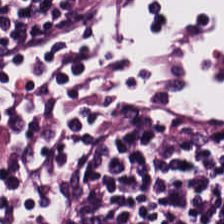Stain: hematoxylin and eosin.
Resolution: 20× equivalent magnification.
Preparation: FFPE.
Classification: lymphocyte aggregate.
